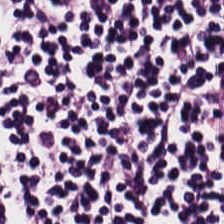Hematoxylin and eosin · 0.5 microns per pixel.
The tissue here is lymphocytes.
